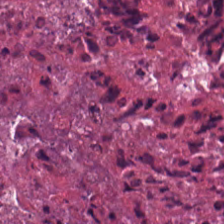The tissue here is cellular debris.
